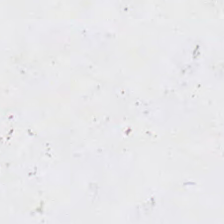H&E-stained tissue section; 20× equivalent magnification — Empty field — empty background.
